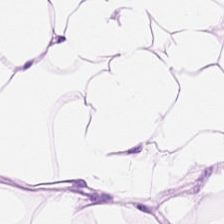Hematoxylin-and-eosin stained section.
Predominant tissue = adipose.
